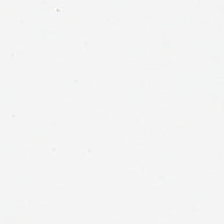H&E. This patch shows background.
